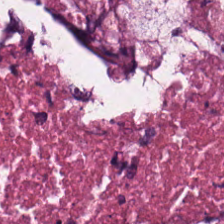H&E — cellular debris.
